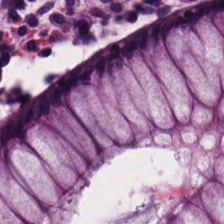Tissue type = non-neoplastic colon mucosa.
